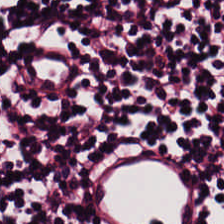H&E-stained tissue section — This field is lymphocytic infiltrate.
